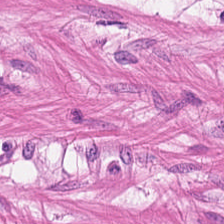Brightfield microscopy · hematoxylin and eosin.
Predominantly smooth-muscle tissue.
